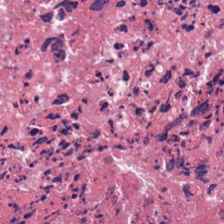FFPE. Hematoxylin-and-eosin stained section — This field is necrotic debris.
